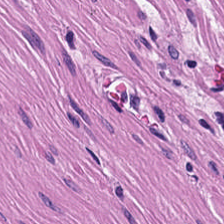H&E stain.
The predominant tissue is smooth muscle.
